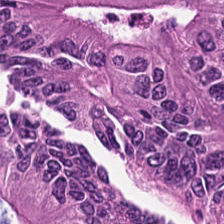224×224 px patch. Hematoxylin-and-eosin stained section. The predominant tissue is colorectal adenocarcinoma epithelium.
